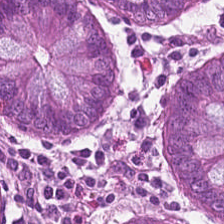H&E — Q: What is the predominant tissue type?
A: The field shows non-neoplastic colon mucosa.
